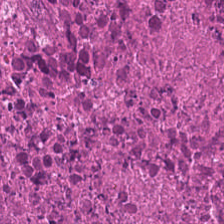H&E stain — Predominantly debris.
